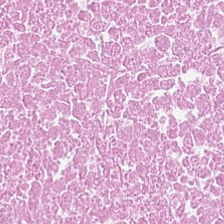0.5 microns per pixel; hematoxylin-and-eosin stained section. The tissue here is debris.
